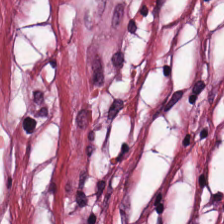H&E-stained tissue section. Q: What is shown here?
A: This is cancer-associated stroma.
